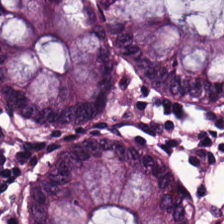The tissue here is normal colonic mucosa.
